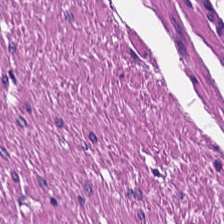H&E stain. 0.5 microns per pixel. 224×224 pixel tile.
Q: What tissue type is shown here?
A: It is muscularis.
